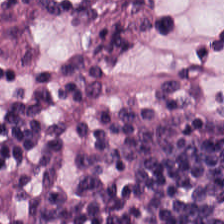H&E-stained tissue section; 20× equivalent magnification. The tissue here is lymphoid infiltrate.
